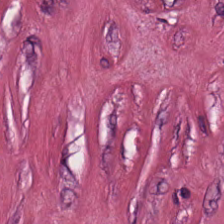H&E — Q: What is shown in this field?
A: This is tumor-associated stroma.
